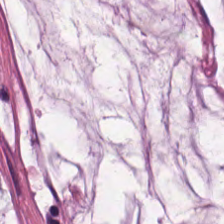Formalin-fixed paraffin-embedded section; hematoxylin-and-eosin stained section — Q: What is shown in this field?
A: This is mucus.
